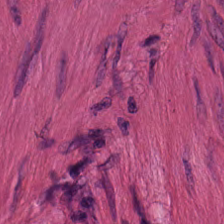H&E patch showing smooth-muscle tissue.
